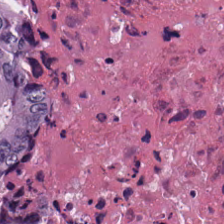H&E-stained tissue section · FFPE — This field is necrotic debris.
